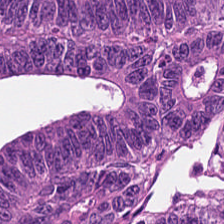H&E stain. Whole-slide-image patch — Impression → malignant epithelium.
